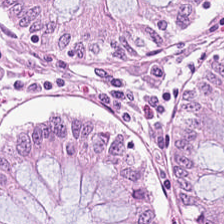H&E — Q: What is the predominant tissue type?
A: Normal colon mucosa.
